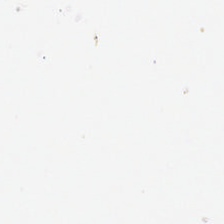Whole-slide-image patch · FFPE · H&E — Background — no tissue in this field.
